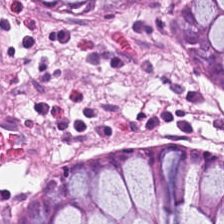H&E patch showing normal colon mucosa.
